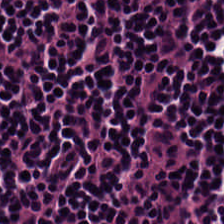224×224 pixel tile; H&E stain — Q: Classify this patch.
A: This is lymphocyte aggregate.
